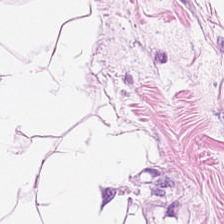H&E stain. 224×224 pixel tile. Predominantly adipose.
